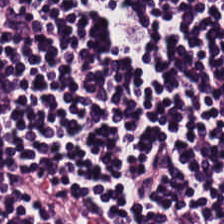H&E-stained section; the field shows lymphoid infiltrate.
